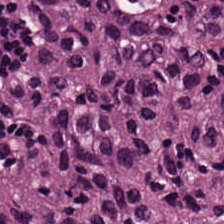H&E-stained tissue section. Predominant tissue — colorectal adenocarcinoma epithelium.
